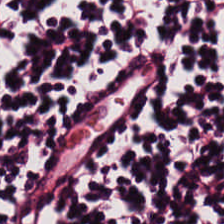Hematoxylin and eosin. The tissue class is lymphocytic infiltrate.
